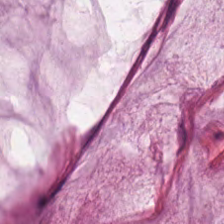Q: What does this patch show?
A: It is mucus.
